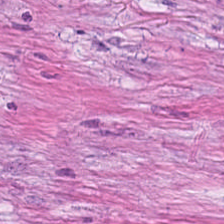0.5 µm/px · H&E.
The predominant tissue is cancer-associated stroma.
